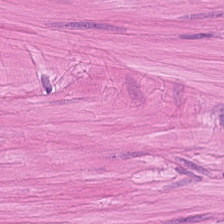0.5 microns per pixel · FFPE tissue section · H&E stain. Q: What is shown in this field?
A: This is smooth-muscle tissue.
